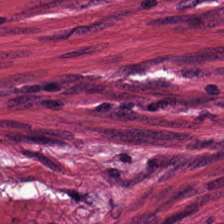Hematoxylin and eosin.
Classification — tumor stroma.
